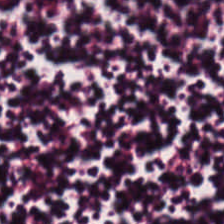H&E-stained tissue section — {"tissue_type": "lymphocyte aggregate"}
